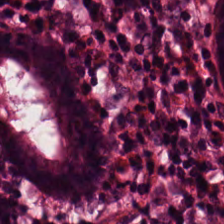H&E stain.
Tissue = normal colonic mucosa.
